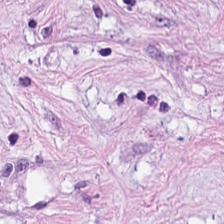H&E-stained tissue section. Desmoplastic stroma.
